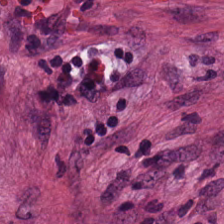H&E. Q: What tissue type is shown here?
A: It is cancer-associated stroma.
